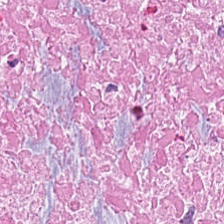H&E stain.
This patch shows cellular debris.
